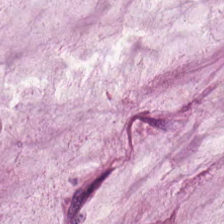H&E.
Tissue type = extracellular mucin.
